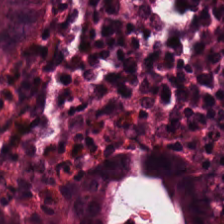H&E stain. The tissue class is benign colonic mucosa.
